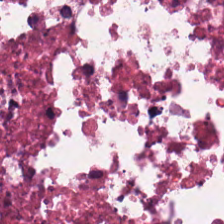Stain: H&E stain.
Tissue class: debris.
